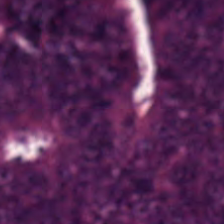{"tissue_type": "adenocarcinoma"}
